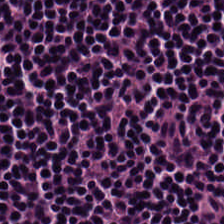0.5 microns per pixel; hematoxylin and eosin; formalin-fixed paraffin-embedded section. This patch shows lymphocytic infiltrate.
